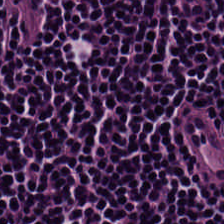Hematoxylin and eosin.
Lymphocytes.
